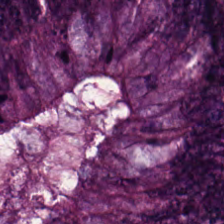Histology — malignant epithelium.
